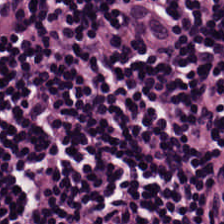H&E stain. Classification — lymphocytes.
